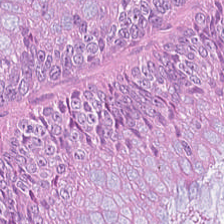H&E-stained tissue section showing tumor epithelium.
